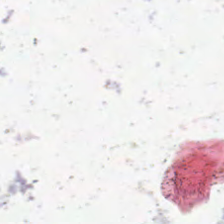Hematoxylin-and-eosin stained section. Brightfield. Classification: empty background.
